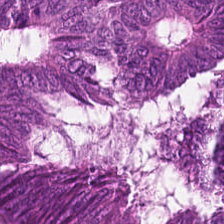H&E stain — Tissue: tumor epithelium.
